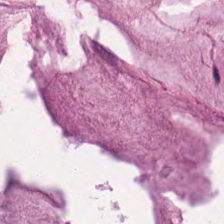Finding → mucin.
